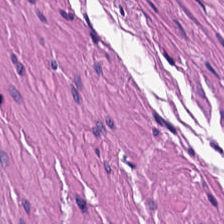H&E stain. Q: What is shown in this field?
A: It is smooth-muscle tissue.
